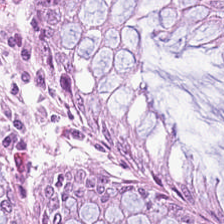H&E · FFPE · 20× equivalent magnification.
Tissue: normal colonic mucosa.
